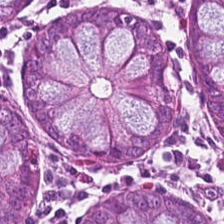The predominant tissue is normal colonic mucosa.
